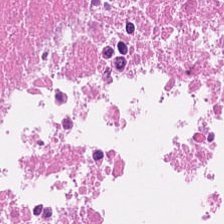224×224 px tile; H&E-stained tissue section — This field is cellular debris.
